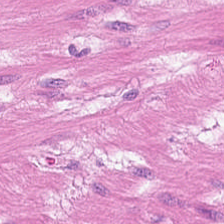FFPE · H&E-stained tissue section.
Tissue = smooth-muscle tissue.
